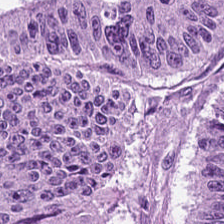Hematoxylin and eosin — This patch shows malignant epithelium.
